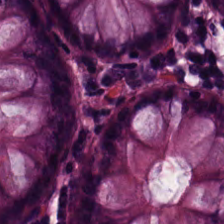H&E stain; 20× equivalent magnification. Q: What does this patch show?
A: Benign colonic mucosa.
